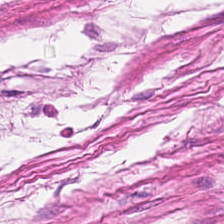Q: What is the predominant tissue type?
A: Smooth-muscle tissue.
